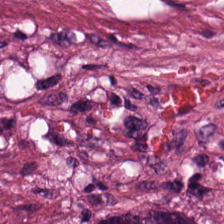224×224 px tile; H&E stain; 0.5 µm/px. The tissue here is necrotic debris.
